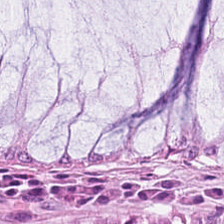H&E-stained tissue section. 224×224 px patch — Showing benign colonic mucosa.
